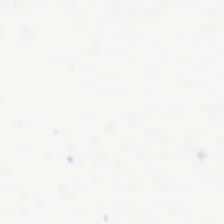H&E — Impression — background.
